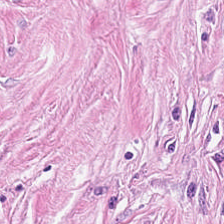Formalin-fixed paraffin-embedded section · H&E stain · whole-slide-image patch — Showing tumor-associated stroma.
